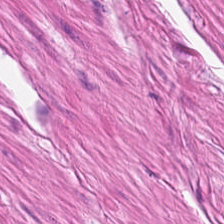Stain: H&E.
Tissue type: muscularis.
